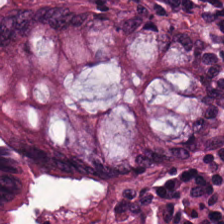H&E-stained tissue section; whole-slide-image patch.
The tissue class is non-neoplastic colon mucosa.
